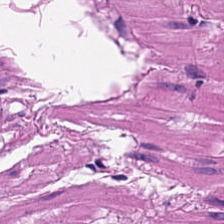0.5 microns per pixel. H&E stain — The tissue here is smooth muscle.
